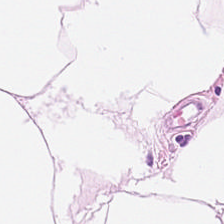Showing fat tissue.
